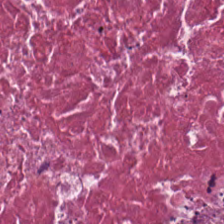Stain: H&E stain.
Tile size: 224×224 px tile.
Tissue type: debris.
